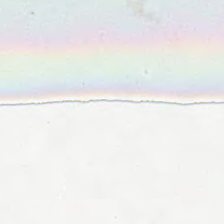Hematoxylin-and-eosin stained section. FFPE — Q: What is shown here?
A: This is background (no tissue).
